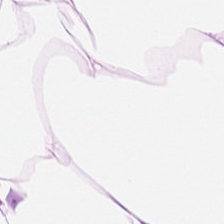H&E; 224×224 px tile; FFPE.
The predominant tissue is adipocytes.
